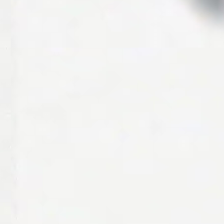Hematoxylin and eosin. Background — no tissue in this field.
